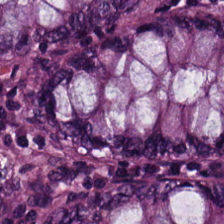H&E-stained tissue section showing normal colonic mucosa.
